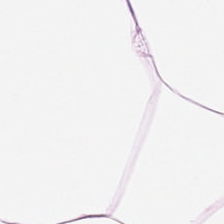H&E-stained tissue section — Q: What tissue is shown?
A: This is adipose.
